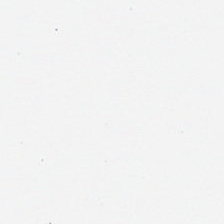Stain: H&E stain.
Acquisition: WSI patch.
Classification: background.
